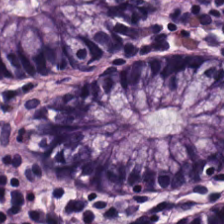Impression → benign colonic mucosa.
